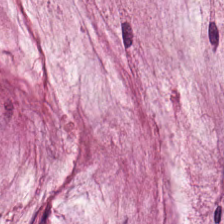Hematoxylin and eosin; FFPE.
Histology — mucus.
